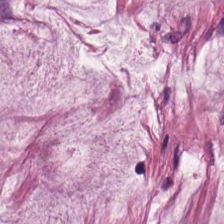H&E. 20× equivalent magnification. FFPE.
Q: What does this patch show?
A: The field shows mucus.
